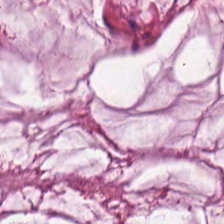Histology → mucin.
